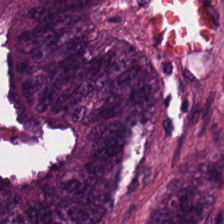H&E stain. Q: What is the predominant tissue type?
A: It is malignant epithelium.
